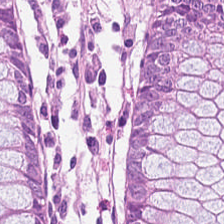Tissue = non-neoplastic colon mucosa.
